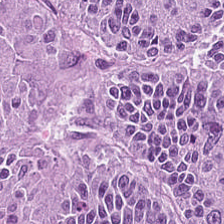H&E stain — {"tissue_type": "colorectal adenocarcinoma epithelium"}
